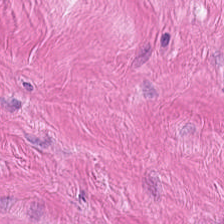H&E. This field is smooth-muscle tissue.
